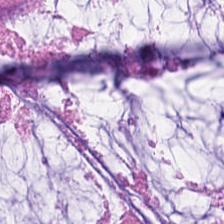H&E stain.
Mucus.
